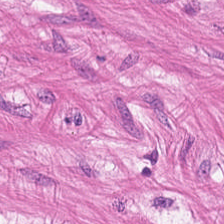{"tissue_type": "muscularis"}
